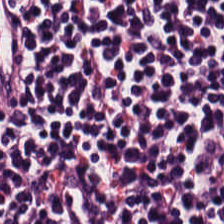The predominant tissue is lymphocytes.
